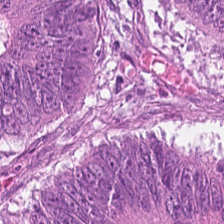Q: Identify the tissue.
A: This is malignant epithelium.
